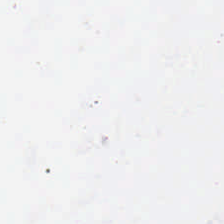H&E-stained tissue section.
Q: What is shown in this field?
A: No tissue.
